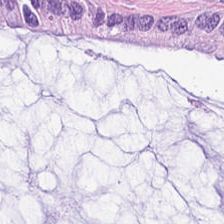Tissue type = mucus.
